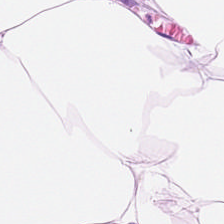Hematoxylin-and-eosin stained section · 20× equivalent magnification — Showing adipose.
